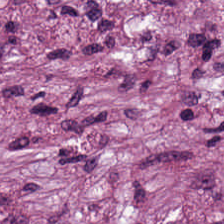Hematoxylin-and-eosin stained section.
Tissue: tumor stroma.
